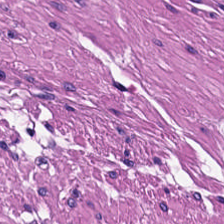Stain: H&E stain.
Tissue class: smooth-muscle tissue.
